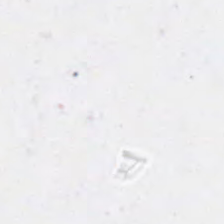Impression — empty background.
